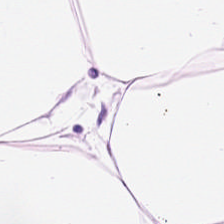Hematoxylin-and-eosin stained section — Tissue — fat tissue.
